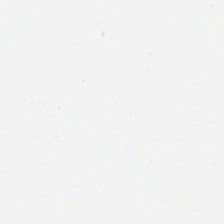0.5 µm/px · brightfield · H&E stain.
Content = no tissue.
